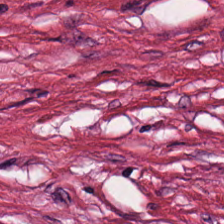H&E. 0.5 µm/px — Q: What type of tissue is this?
A: Desmoplastic stroma.
